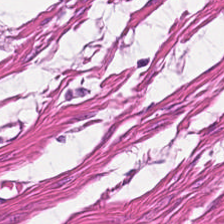H&E-stained tissue section. Histology — smooth-muscle tissue.
